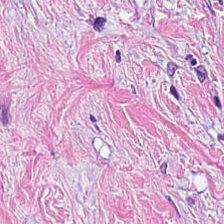Hematoxylin-and-eosin stained section; FFPE tissue section.
Tissue class: tumor stroma.
